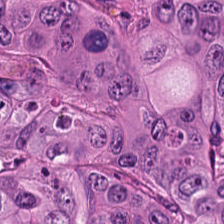H&E-stained tissue section — Colorectal adenocarcinoma epithelium.
